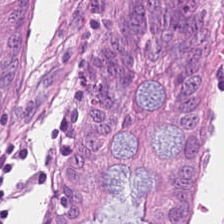H&E stain · 224×224 px tile. Q: What is shown here?
A: It is benign colonic mucosa.
